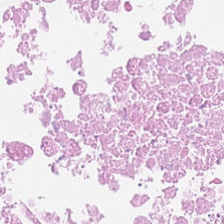H&E. Brightfield.
This patch shows debris.
